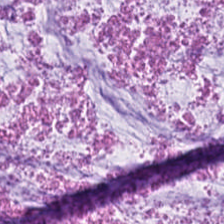This patch shows mucus.
